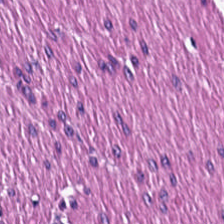H&E.
Impression → muscularis.
